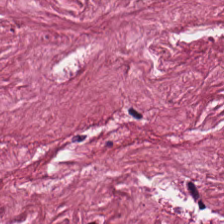Hematoxylin-and-eosin stained section; brightfield microscopy.
The classification is cancer-associated stroma.
